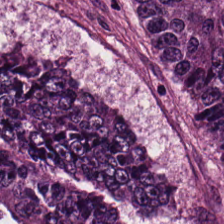WSI patch · hematoxylin and eosin.
Predominantly colorectal adenocarcinoma epithelium.
